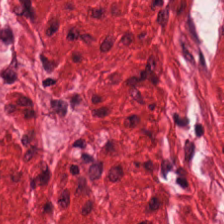224×224 px tile · 0.5 µm/px · hematoxylin and eosin. Q: Identify the tissue.
A: Muscularis.
